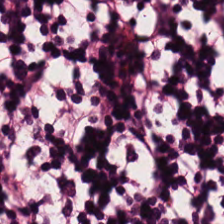H&E stain.
This field is lymphocytes.
